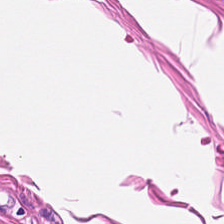The tissue here is smooth muscle.
